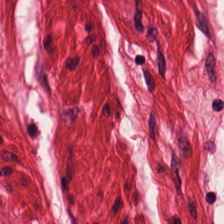Stain: H&E-stained tissue section.
Tissue class: smooth-muscle tissue.
